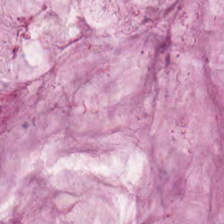H&E-stained tissue section.
Tissue class — mucus.
